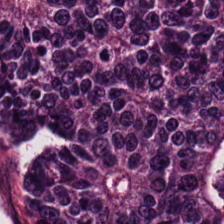FFPE · H&E-stained tissue section — The predominant tissue is adenocarcinoma.
